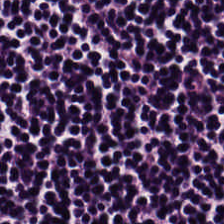H&E — Tissue type = lymphocyte aggregate.
